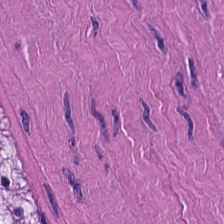H&E-stained tissue section — Tissue class: smooth-muscle tissue.
